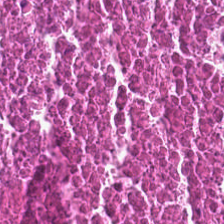H&E — Tissue class = cellular debris.
